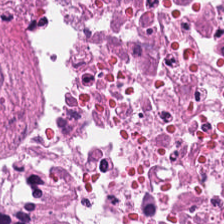224×224 px tile; H&E stain.
Cellular debris.
